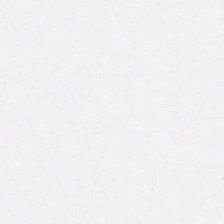Content: no tissue.
